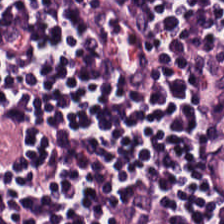Predominantly lymphoid infiltrate.
